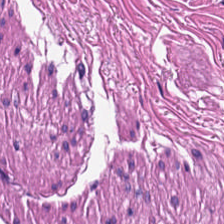224×224 px tile · FFPE tissue section · hematoxylin and eosin.
Histology → smooth muscle.
